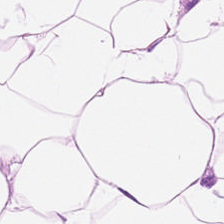Stain: H&E.
Preparation: FFPE.
Acquisition: whole-slide-image patch.
Tissue type: adipose tissue.
